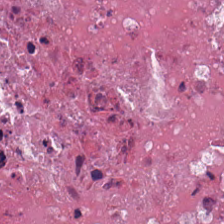Debris.
